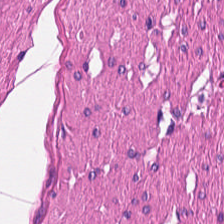H&E.
Classification — smooth muscle.
